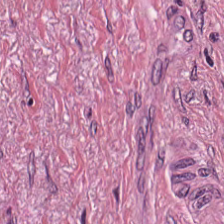Hematoxylin-and-eosin stained section — This field is tumor-associated stroma.
